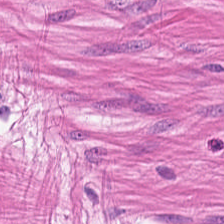FFPE; H&E; 20× equivalent magnification. Classification — smooth-muscle tissue.
